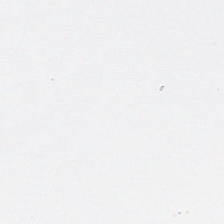Stain: H&E.
Resolution: 0.5 microns per pixel.
Preparation: FFPE.
Content: no tissue.
